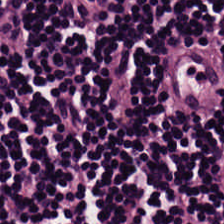H&E-stained tissue section — Impression → lymphocytes.
